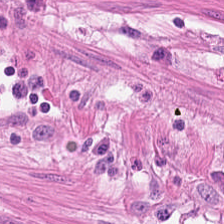H&E-stained tissue section. 224×224 pixel tile.
Classification = muscularis.
